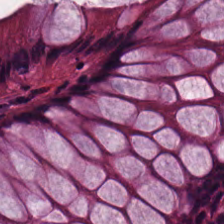Hematoxylin and eosin.
Tissue — non-neoplastic colon mucosa.
